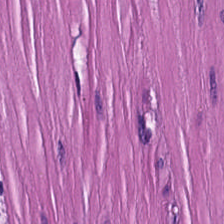Q: What is shown in this field?
A: It is muscularis.
